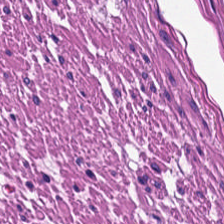Q: Identify the tissue.
A: Muscularis.
